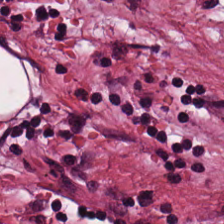Stain: hematoxylin-and-eosin stained section.
Classification: tumor-associated stroma.
